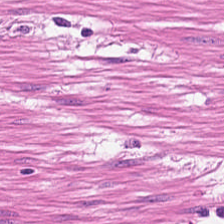FFPE tissue section. Hematoxylin and eosin. Brightfield. Tissue type: smooth-muscle tissue.
